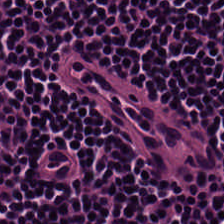H&E patch showing lymphocytes.
